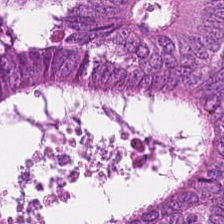Hematoxylin and eosin; FFPE tissue section — Finding → colorectal adenocarcinoma epithelium.
